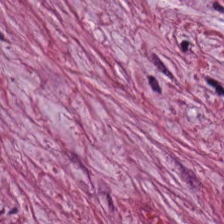224×224 px tile · hematoxylin and eosin.
This field is tumor-associated stroma.
